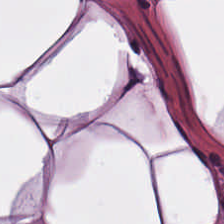Hematoxylin and eosin. Q: Identify the tissue.
A: This is adipose tissue.
